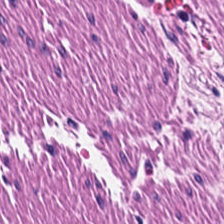Hematoxylin and eosin.
Tissue class = smooth muscle.
